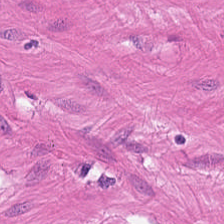The predominant tissue is smooth muscle.
